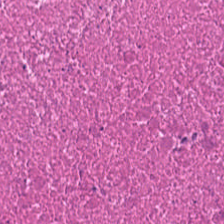FFPE tissue section; hematoxylin and eosin — The predominant tissue is cellular debris.
